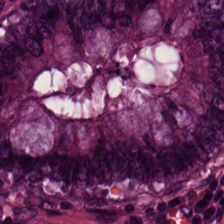The tissue class is normal colonic mucosa.
